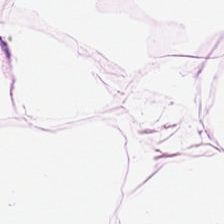H&E stain. Tissue type = adipocytes.
